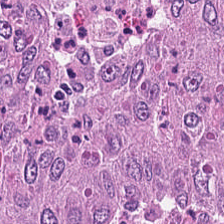H&E stain. 224×224 pixel tile. WSI patch — Q: What is shown in this field?
A: The field shows malignant epithelium.
